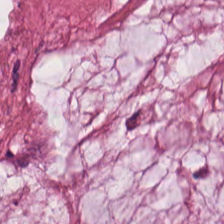Hematoxylin-and-eosin stained section.
The tissue is mucus.
